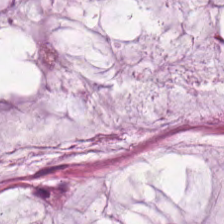Histology — mucus.
